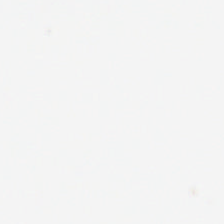H&E. The content is background (no tissue).
